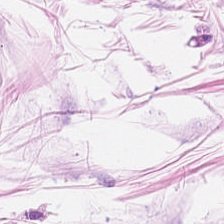0.5 µm/px; H&E-stained tissue section.
This field is fat tissue.
